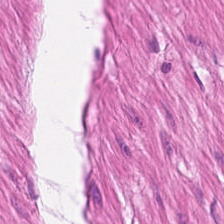Hematoxylin and eosin · 224×224 pixel tile — Tissue type: smooth-muscle tissue.
